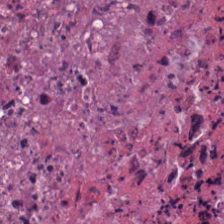Tissue = necrotic debris.
